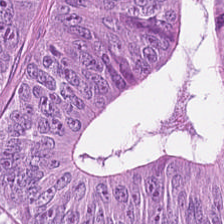224×224 pixel tile; H&E stain — This field is tumor epithelium.
